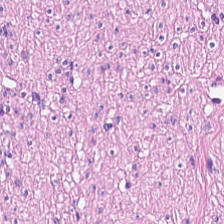H&E — The predominant tissue is smooth muscle.
